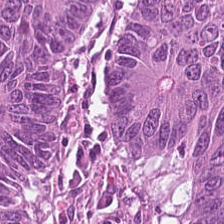Stain: H&E.
Tile size: 224×224 px tile.
Tissue class: colorectal adenocarcinoma epithelium.
